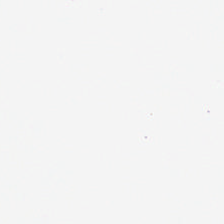Hematoxylin-and-eosin stained section — Field content — no tissue.
